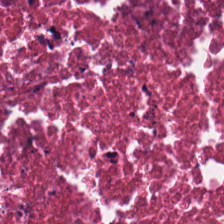Tissue class = debris.
